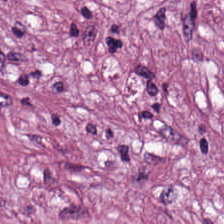Stain: H&E stain.
Tissue class: tumor stroma.
